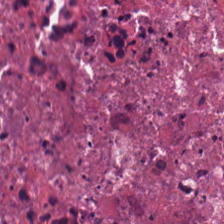This patch shows debris.
